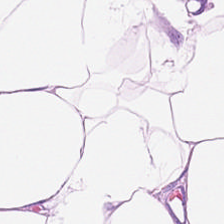Histology — fat tissue.
